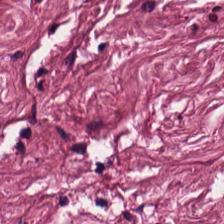Impression — desmoplastic stroma.
